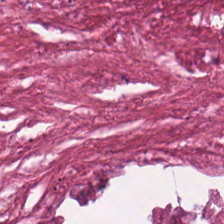Debris.
